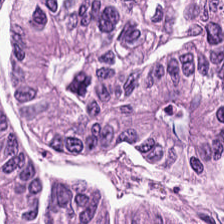H&E-stained tissue section.
Predominant tissue — adenocarcinoma.
